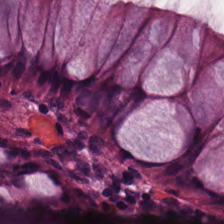H&E stain — Tissue type: non-neoplastic colon mucosa.
